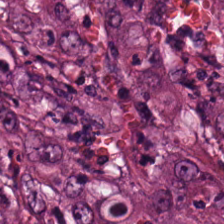H&E-stained section; the field shows colorectal adenocarcinoma epithelium.
